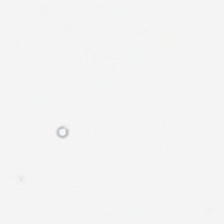Field content: no tissue.
